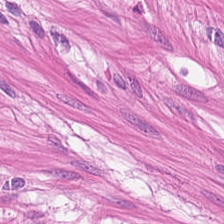H&E stain — Q: What tissue type is shown here?
A: The field shows smooth muscle.
